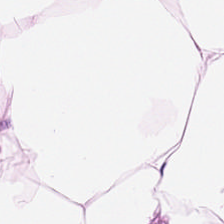H&E — Adipocytes.
